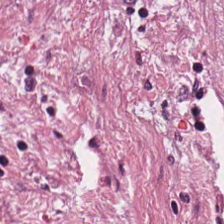This patch shows cancer-associated stroma.
